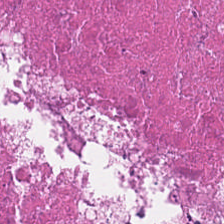Hematoxylin and eosin · 0.5 µm/px.
Q: What does this patch show?
A: It is cellular debris.
